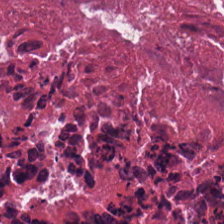Hematoxylin-and-eosin stained section. 224×224 px patch.
Debris.
